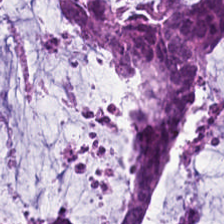Stain: hematoxylin and eosin.
Tissue: mucus.
